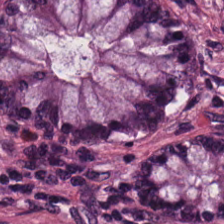Brightfield. H&E-stained tissue section.
Showing normal colon mucosa.
